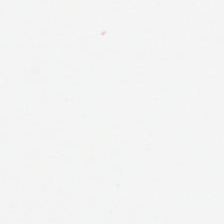H&E-stained tissue section.
Background — no tissue in this field.
